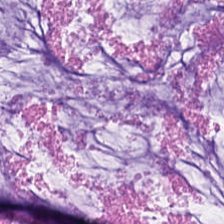H&E — The predominant tissue is mucin.
